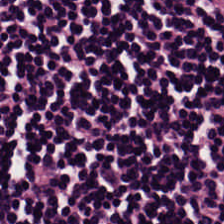H&E — This patch shows lymphoid infiltrate.
